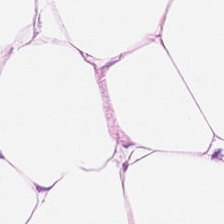H&E patch showing adipose.
